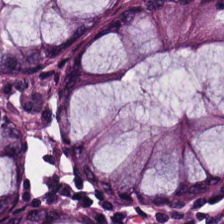Tissue type: non-neoplastic colon mucosa.
